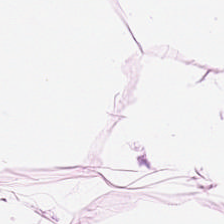Hematoxylin-and-eosin section: adipocytes.
